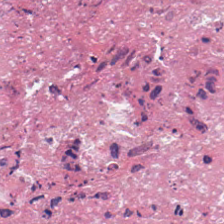The tissue type is necrotic debris.
